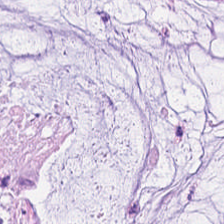0.5 microns per pixel; H&E-stained tissue section. Tissue = mucus.
